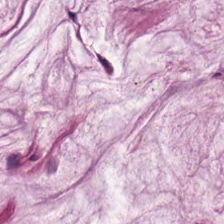Hematoxylin-and-eosin stained section. The tissue here is mucus.
